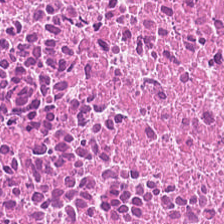H&E-stained tissue section. Q: What does this patch show?
A: Debris.
